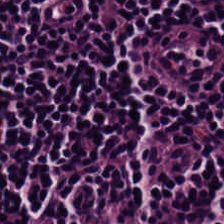Brightfield microscopy · H&E stain — Q: What type of tissue is this?
A: The field shows lymphocytic infiltrate.
